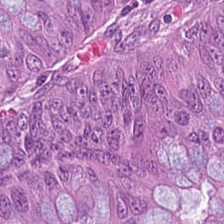H&E-stained tissue section.
Tissue class — adenocarcinoma.
